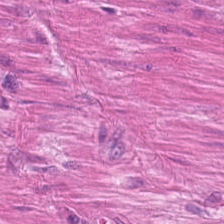H&E — The classification is smooth muscle.
